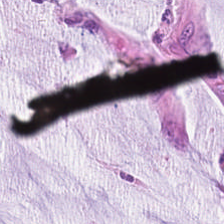H&E.
The tissue class is mucus.
